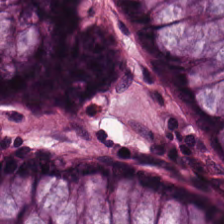Formalin-fixed paraffin-embedded section; hematoxylin and eosin — This patch shows benign colonic mucosa.
